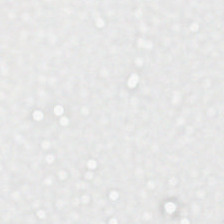H&E — Content = empty background.
